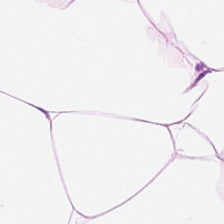H&E stain.
This field is adipose.
